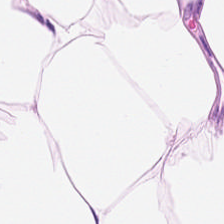224×224 px tile · H&E. Q: What type of tissue is this?
A: It is fat tissue.
